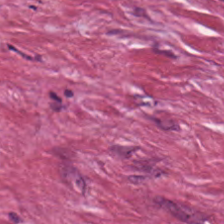Formalin-fixed paraffin-embedded section; H&E stain; 224×224 px patch — Showing cancer-associated stroma.
